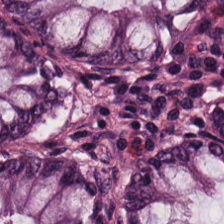0.5 microns per pixel; hematoxylin-and-eosin stained section; 224×224 px patch. Tissue class = benign colonic mucosa.
